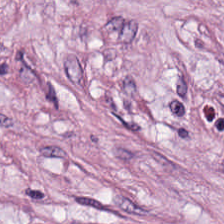Hematoxylin and eosin — This patch shows desmoplastic stroma.
